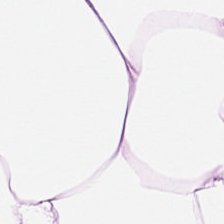Stain: H&E-stained tissue section.
Predominant tissue: adipose tissue.
